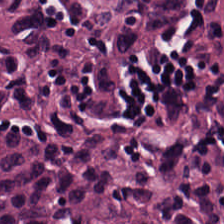Brightfield. H&E stain — This patch shows lymphocytes.
